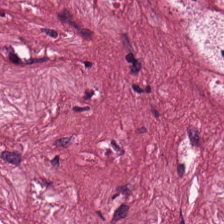Finding — cancer-associated stroma.
